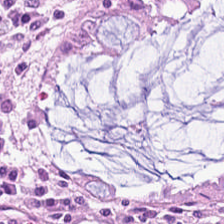Hematoxylin-and-eosin stained section.
Showing normal colon mucosa.
